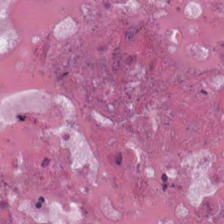H&E. Q: What type of tissue is this?
A: Necrotic debris.
